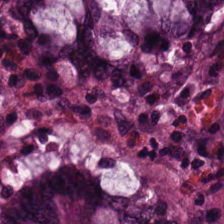Stain: H&E stain.
Resolution: 0.5 µm per pixel.
Tissue class: normal colonic mucosa.
